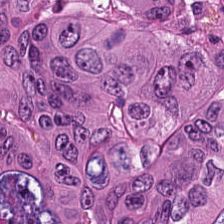Hematoxylin and eosin.
Predominantly tumor epithelium.
